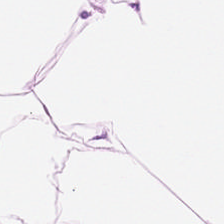Classification = adipocytes.
